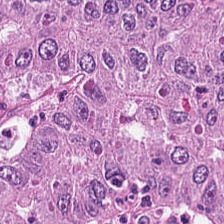FFPE. H&E.
Classification: adenocarcinoma.
